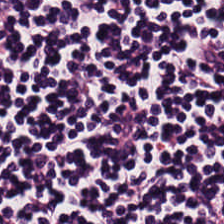Hematoxylin and eosin.
The tissue here is lymphocyte aggregate.
